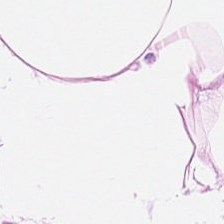Showing adipose tissue.
